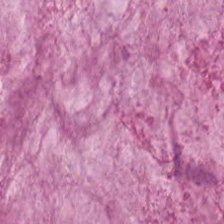H&E · 224×224 px patch — Q: What is the predominant tissue type?
A: This is extracellular mucin.
